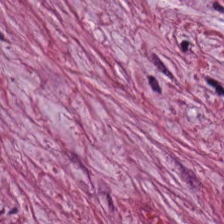Formalin-fixed paraffin-embedded section; H&E stain; WSI patch.
Tissue class = cancer-associated stroma.
